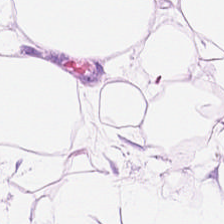The classification is fat tissue.
